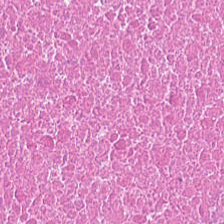0.5 microns per pixel. H&E-stained tissue section.
Tissue type = cellular debris.
